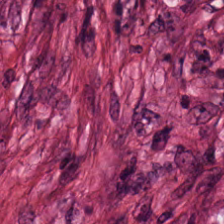H&E. Classification = tumor stroma.
